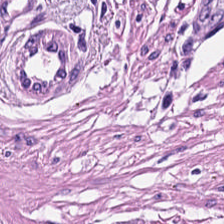H&E stain. This patch shows smooth-muscle tissue.
